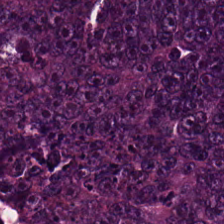H&E-stained section; the field shows colorectal adenocarcinoma.
